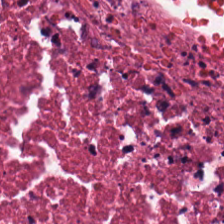H&E.
Classification — cellular debris.
